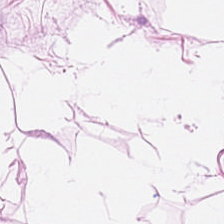Whole-slide-image patch · H&E — The predominant tissue is adipose.
